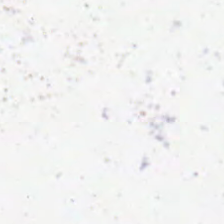Empty field — background.
